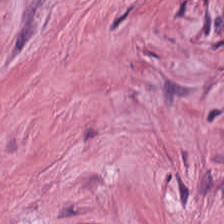H&E; FFPE tissue section. Tissue class — desmoplastic stroma.
